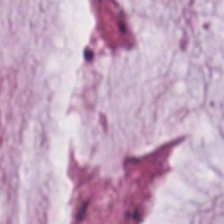H&E stain — Tissue = extracellular mucin.
